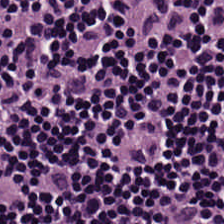H&E stain. 224×224 px patch. The tissue here is lymphocyte aggregate.
